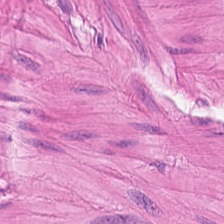H&E stain — Impression → smooth-muscle tissue.
